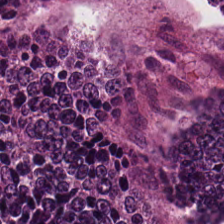Hematoxylin-and-eosin stained section — {"tissue_type": "tumor epithelium"}
